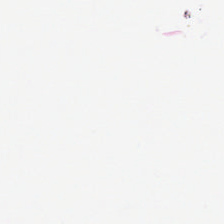This field is background (no tissue).
